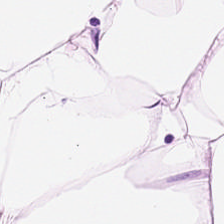Stain: H&E stain.
Acquisition: brightfield.
Predominant tissue: adipose.
